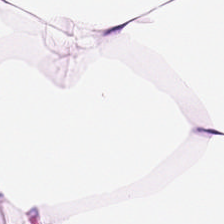Hematoxylin-and-eosin stained section — {"tissue_type": "adipose tissue"}
